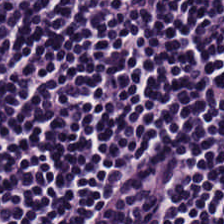Stain: H&E stain.
Classification: lymphocyte aggregate.
